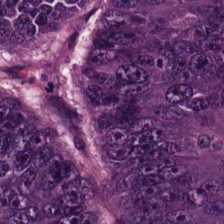Hematoxylin and eosin. Classification = malignant epithelium.
